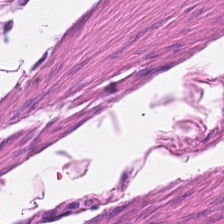Hematoxylin and eosin. Showing smooth-muscle tissue.
